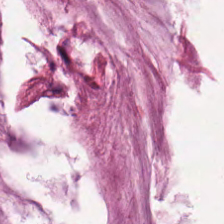FFPE; H&E stain. Q: Classify this patch.
A: It is mucus.
